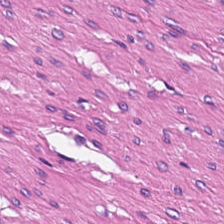Q: What type of tissue is this?
A: It is muscularis.
